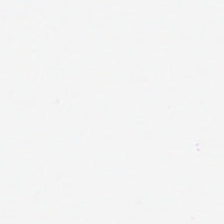H&E; FFPE. This field is background (no tissue).
